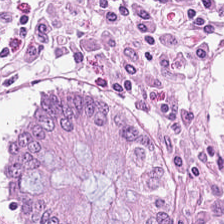Brightfield microscopy; H&E-stained tissue section; formalin-fixed paraffin-embedded section — Tissue — normal colonic mucosa.
